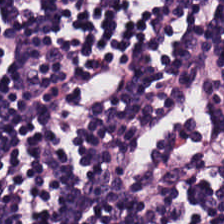Hematoxylin-and-eosin stained section. This field is lymphoid infiltrate.
